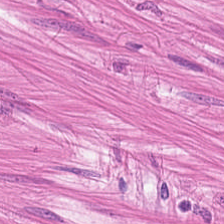0.5 µm per pixel · H&E stain.
Q: What is shown here?
A: This is smooth-muscle tissue.
